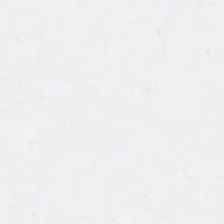H&E; FFPE.
The field content is empty background.
